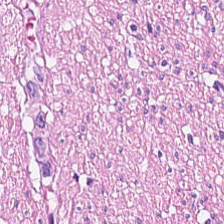Q: What type of tissue is this?
A: It is smooth-muscle tissue.
